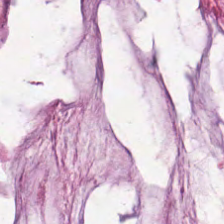H&E stain · whole-slide-image patch · 0.5 µm per pixel — Extracellular mucin.
